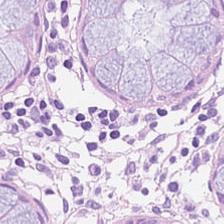Hematoxylin and eosin; 224×224 pixel tile — Predominantly benign colonic mucosa.
